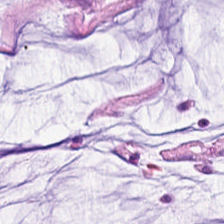Stain: hematoxylin and eosin.
Resolution: 0.5 microns per pixel.
Preparation: formalin-fixed paraffin-embedded section.
Predominant tissue: extracellular mucin.
